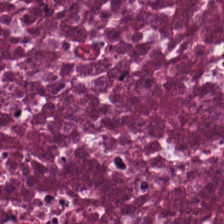H&E stain — Classification = debris.
